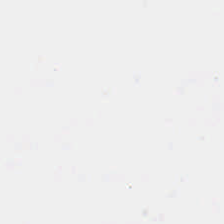H&E.
The field content is no tissue.
